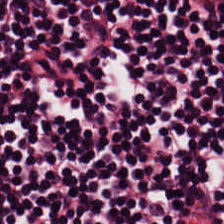WSI patch. H&E-stained tissue section.
Q: Identify the tissue.
A: The field shows lymphoid infiltrate.
